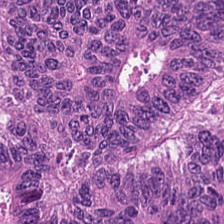20× equivalent magnification; hematoxylin and eosin. {"tissue_type": "adenocarcinoma"}
